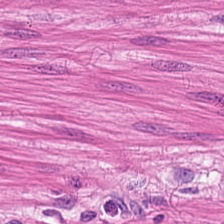FFPE. Hematoxylin and eosin. Brightfield. Tissue class — muscularis.
